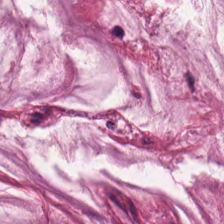H&E stain.
The tissue here is mucus.
